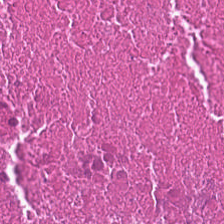H&E stain. FFPE. The predominant tissue is debris.
